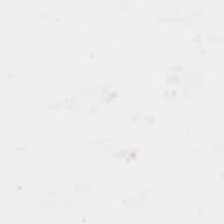The field content is background.
